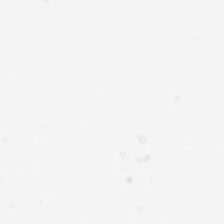H&E-stained tissue section — Q: What is shown in this field?
A: Background (no tissue).
